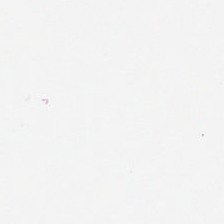Content = background.
